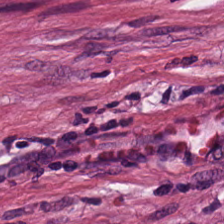Whole-slide-image patch · H&E stain · FFPE tissue section — Showing cancer-associated stroma.
